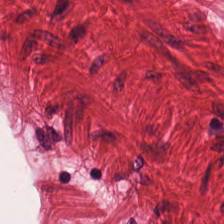Stain: H&E stain.
Tissue type: muscularis.
